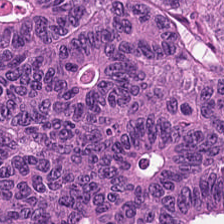Hematoxylin and eosin. FFPE tissue section — {"tissue_type": "adenocarcinoma"}
